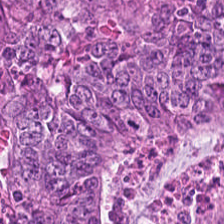Impression → colorectal adenocarcinoma epithelium.
